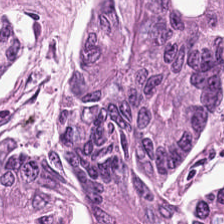Brightfield microscopy · 0.5 µm/px · H&E-stained tissue section. Classification = tumor epithelium.
